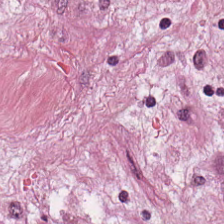Stain: H&E stain.
Classification: desmoplastic stroma.
